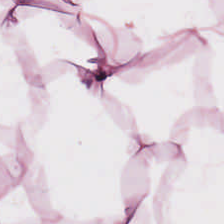Hematoxylin-and-eosin stained section. This field is adipose.
